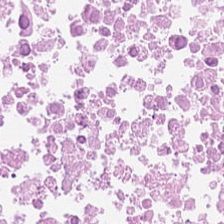0.5 µm/px. H&E stain. FFPE tissue section.
This patch shows cellular debris.
